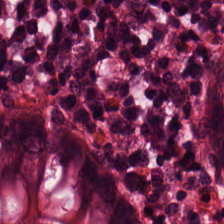Brightfield microscopy; H&E-stained tissue section — The predominant tissue is benign colonic mucosa.
